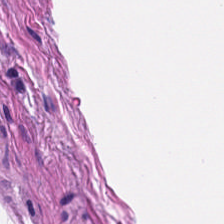224×224 px tile. H&E. Smooth muscle.
